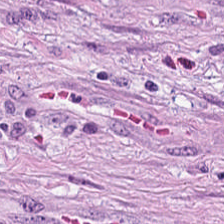FFPE tissue section. Hematoxylin-and-eosin stained section.
Q: Identify the tissue.
A: Cancer-associated stroma.
